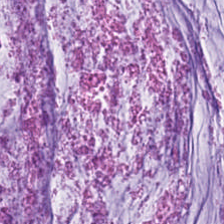H&E-stained section; the field shows mucin.
